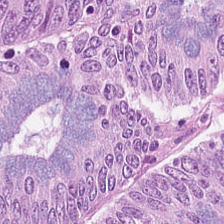Stain: H&E stain.
Tissue: adenocarcinoma.
